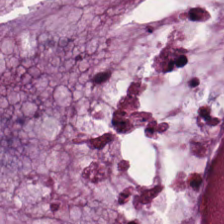Hematoxylin and eosin. 224×224 px tile.
{"tissue_type": "extracellular mucin"}
